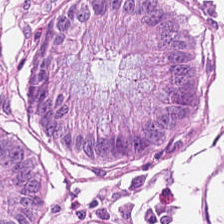Classification — normal colon mucosa.
